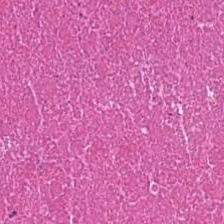H&E stain. {"tissue_type": "debris"}
